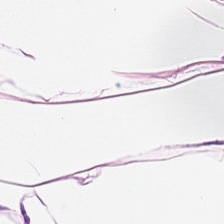Q: Identify the tissue.
A: Adipose tissue.
